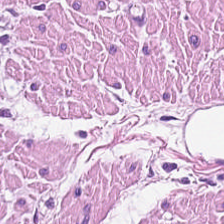Predominant tissue: smooth muscle.
